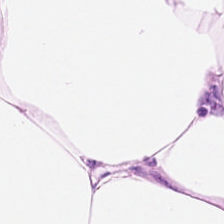H&E stain. This field is fat tissue.
